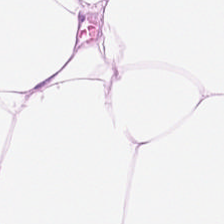Q: What is the predominant tissue type?
A: Fat tissue.
